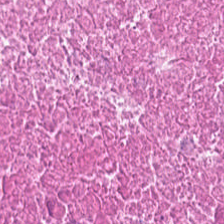Stain: H&E-stained tissue section.
Preparation: formalin-fixed paraffin-embedded section.
Tile size: 224×224 pixel tile.
Tissue type: necrotic debris.
